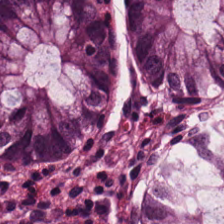Stain: H&E-stained tissue section.
Acquisition: WSI patch.
Tissue class: non-neoplastic colon mucosa.
